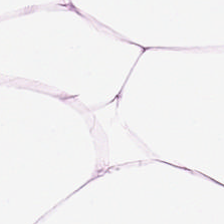H&E; WSI patch. {"tissue_type": "fat tissue"}
